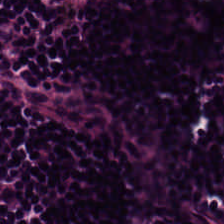Hematoxylin-and-eosin stained section. Lymphoid infiltrate.
